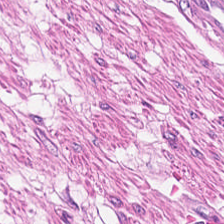Hematoxylin-and-eosin stained section — The tissue type is smooth-muscle tissue.
